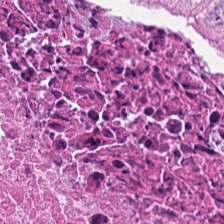H&E — The predominant tissue is cellular debris.
